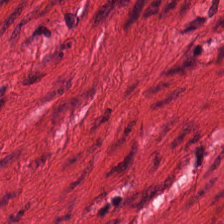Hematoxylin and eosin. 0.5 microns per pixel.
Histology — smooth-muscle tissue.
